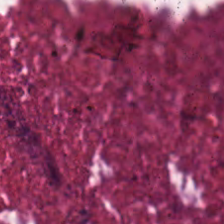Hematoxylin-and-eosin stained section. Q: What is shown in this field?
A: It is necrotic debris.
